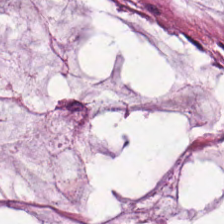H&E. Tissue type — mucus.
